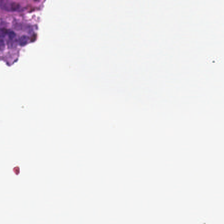Content = no tissue.
